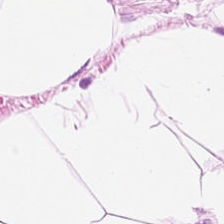Stain: hematoxylin-and-eosin stained section.
Tile size: 224×224 px tile.
Preparation: FFPE.
Classification: adipose.
